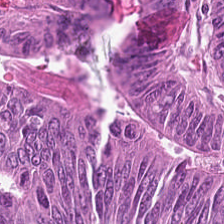H&E stain. WSI patch. 0.5 microns per pixel. Q: What is the predominant tissue type?
A: The field shows malignant epithelium.
